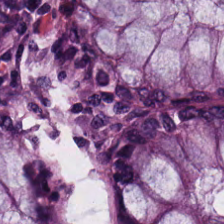Hematoxylin and eosin · WSI patch · FFPE — {"tissue_type": "normal colonic mucosa"}
